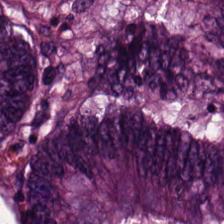H&E stain. 0.5 µm per pixel. Brightfield microscopy. {"tissue_type": "adenocarcinoma"}
